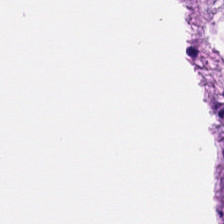Smooth-muscle tissue.
